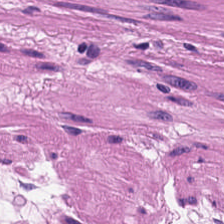224×224 pixel tile; hematoxylin and eosin.
Smooth muscle.
